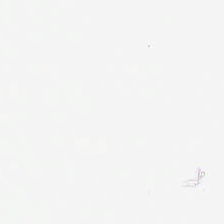Hematoxylin-and-eosin stained section. FFPE. 224×224 px patch.
Histology → empty background.
